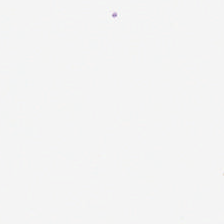H&E · FFPE.
Q: What is shown here?
A: This is empty background.
